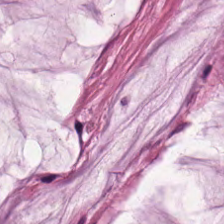0.5 µm per pixel. Brightfield microscopy. H&E-stained tissue section. Histology — mucin.
